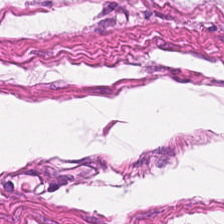H&E stain.
This field is muscularis.
